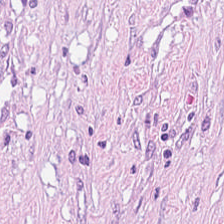H&E-stained tissue section.
The tissue type is desmoplastic stroma.
